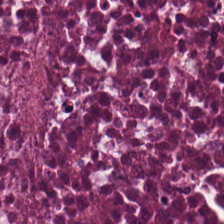Hematoxylin and eosin.
Necrotic debris.
